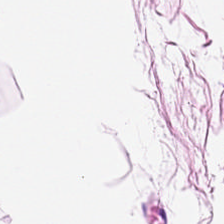Whole-slide-image patch. Hematoxylin-and-eosin stained section. 224×224 pixel tile — This field is adipose tissue.
